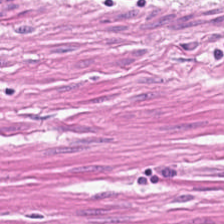Tissue type: smooth-muscle tissue.
